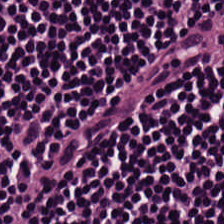Hematoxylin and eosin — The tissue here is lymphocytic infiltrate.
